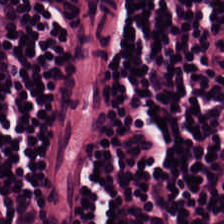Stain: hematoxylin and eosin.
Predominant tissue: lymphoid infiltrate.
